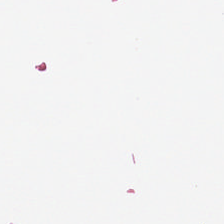Hematoxylin-and-eosin stained section.
Histology → background.
